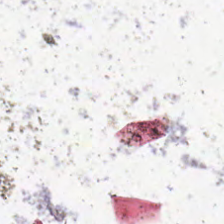H&E-stained tissue section · 20× equivalent magnification.
The content is empty background.
